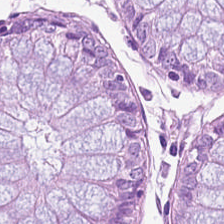Hematoxylin-and-eosin stained section · formalin-fixed paraffin-embedded section — Finding — normal colonic mucosa.
